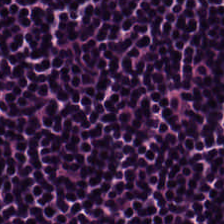Stain: H&E-stained tissue section.
Tissue: lymphocytes.
